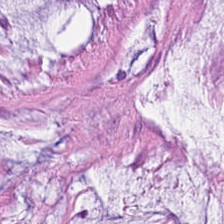FFPE; 0.5 µm/px; hematoxylin-and-eosin stained section. {"tissue_type": "mucus"}
